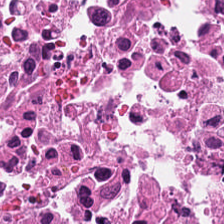Stain: H&E-stained tissue section.
Predominant tissue: cellular debris.
